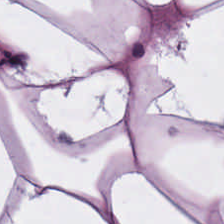0.5 µm/px · WSI patch · H&E — The tissue class is adipocytes.
